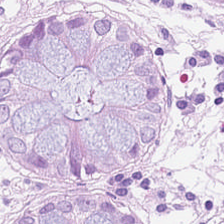Hematoxylin and eosin; 20× equivalent magnification; whole-slide-image patch.
Tissue class = non-neoplastic colon mucosa.
